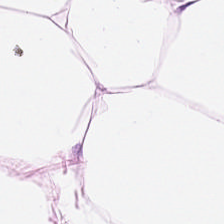224×224 pixel tile. Hematoxylin-and-eosin stained section.
The tissue is adipose tissue.
